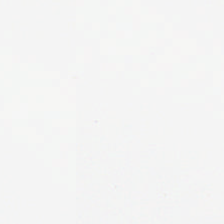No tissue present; background only.
